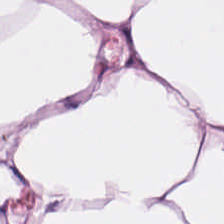H&E-stained tissue section. FFPE. Predominant tissue — fat tissue.
